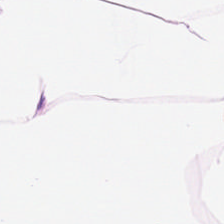H&E stain; 224×224 px tile. Predominantly adipose.
